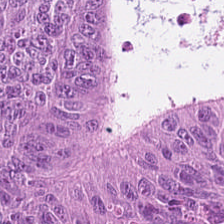0.5 µm/px; H&E stain — Q: What is the predominant tissue type?
A: This is malignant epithelium.
